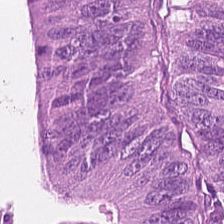Hematoxylin-and-eosin stained section — {"tissue_type": "colorectal adenocarcinoma"}
